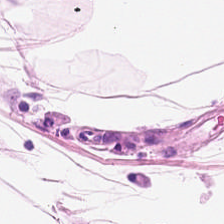H&E. 224×224 pixel tile.
The tissue type is fat tissue.
